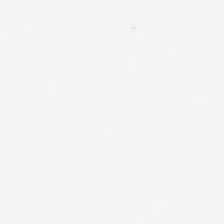Stain: H&E.
Content: empty background.
